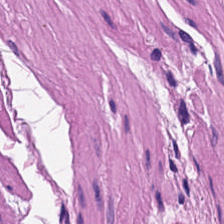Stain: H&E-stained tissue section.
Preparation: FFPE tissue section.
Acquisition: brightfield microscopy.
Tissue: smooth-muscle tissue.
